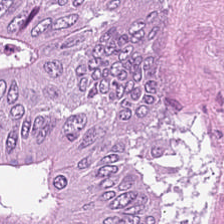Hematoxylin-and-eosin stained section. Histology — tumor epithelium.
